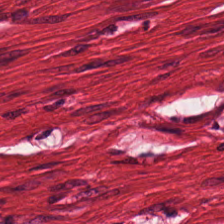0.5 µm per pixel · hematoxylin-and-eosin stained section — This patch shows smooth muscle.
